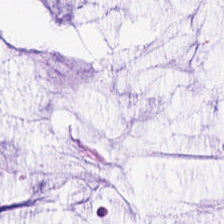H&E stain.
Mucus.
